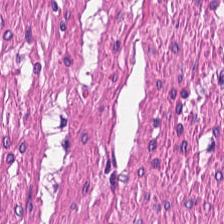Histology → muscularis.
